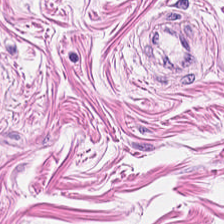H&E-stained tissue section.
Predominantly smooth-muscle tissue.
